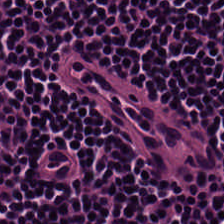FFPE · H&E-stained tissue section — This field is lymphocytes.
